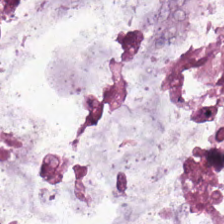Hematoxylin-and-eosin stained section — The predominant tissue is mucus.
